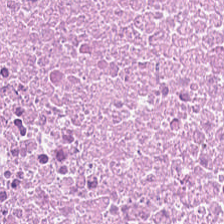H&E-stained tissue section. 224×224 pixel tile. 20× equivalent magnification.
Impression — cellular debris.
